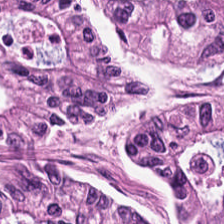Hematoxylin-and-eosin stained section.
The classification is tumor epithelium.
